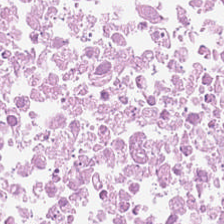Hematoxylin-and-eosin stained section — Tissue = cellular debris.
